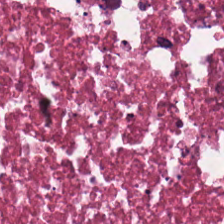Q: What type of tissue is this?
A: The field shows debris.
